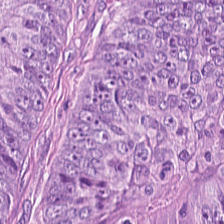Stain: hematoxylin and eosin.
Tissue type: tumor epithelium.
